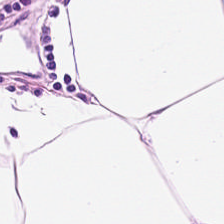Hematoxylin-and-eosin section: adipose.
